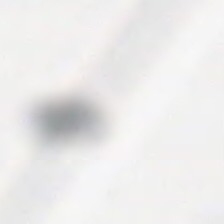Finding — background (no tissue).
